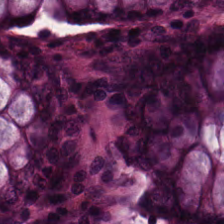Hematoxylin-and-eosin stained section. Brightfield — The predominant tissue is non-neoplastic colon mucosa.
